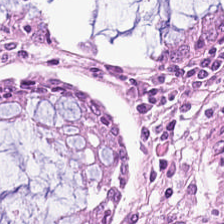H&E. Histology — normal colonic mucosa.
